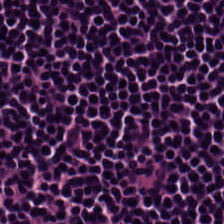H&E stain.
Predominant tissue: lymphoid infiltrate.
